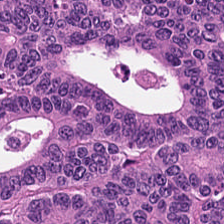H&E patch showing tumor epithelium.
